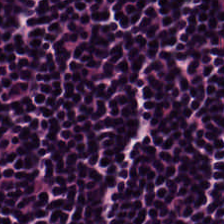20× equivalent magnification. 224×224 pixel tile. Hematoxylin and eosin.
The predominant tissue is lymphoid infiltrate.
